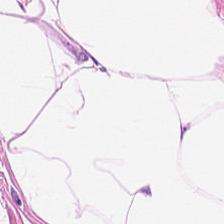FFPE tissue section; hematoxylin-and-eosin stained section; 224×224 pixel tile — {"tissue_type": "adipose tissue"}
